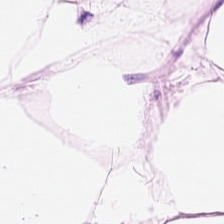Hematoxylin-and-eosin stained section — Adipose tissue.
